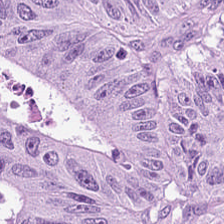Q: Identify the tissue.
A: This is colorectal adenocarcinoma.
